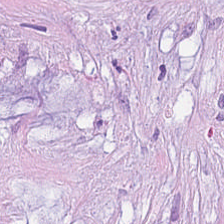H&E-stained tissue section; 0.5 µm per pixel. Predominant tissue: extracellular mucin.
